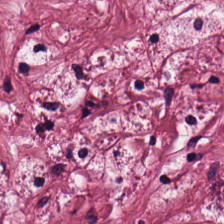Q: Classify this patch.
A: It is tumor-associated stroma.
